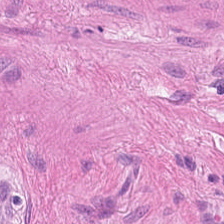Hematoxylin and eosin — The predominant tissue is smooth muscle.
